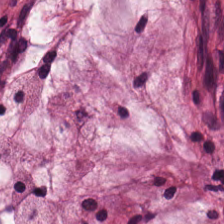Hematoxylin-and-eosin stained section — The predominant tissue is extracellular mucin.
